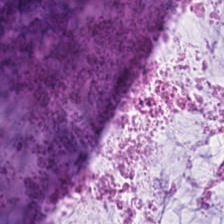Hematoxylin-and-eosin stained section. FFPE.
Q: What does this patch show?
A: It is extracellular mucin.
